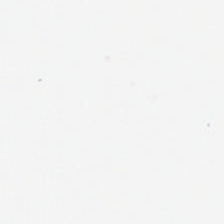H&E-stained tissue section; formalin-fixed paraffin-embedded section. Background — no tissue in this field.
